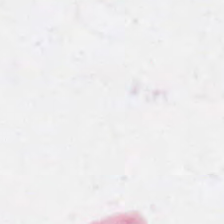H&E stain. No tissue present; background only.
